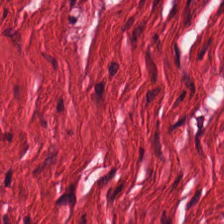H&E-stained tissue section.
Tissue type — smooth muscle.
